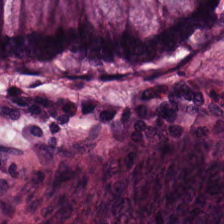Hematoxylin and eosin.
The tissue class is normal colon mucosa.
